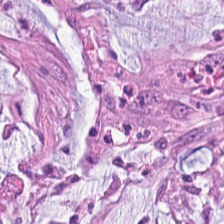Brightfield microscopy · H&E stain — Tissue = mucus.
